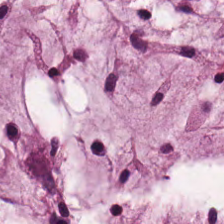Hematoxylin and eosin. Q: What is the predominant tissue type?
A: Extracellular mucin.
